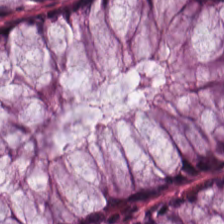Hematoxylin and eosin; WSI patch — Tissue: non-neoplastic colon mucosa.
